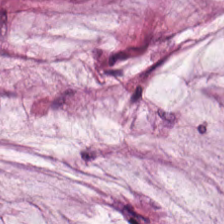Stain: H&E stain.
Preparation: FFPE.
Tissue type: mucus.
